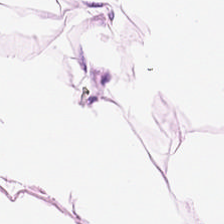H&E patch showing fat tissue.
